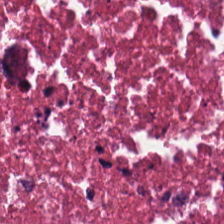FFPE tissue section. 224×224 px patch. H&E-stained tissue section — This patch shows necrotic debris.
